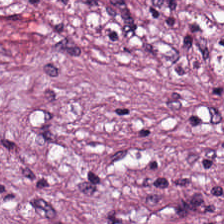Tissue class — tumor-associated stroma.
